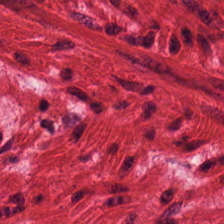H&E stain — Showing smooth muscle.
